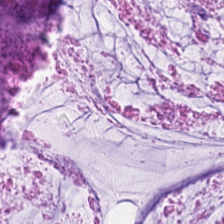FFPE tissue section · H&E stain — Finding — mucus.
